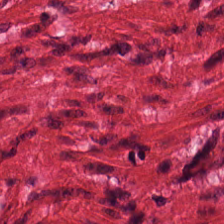Classification — smooth muscle.
